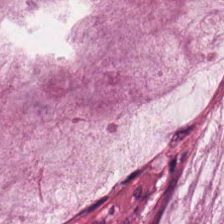Stain: H&E stain.
Predominant tissue: mucin.
